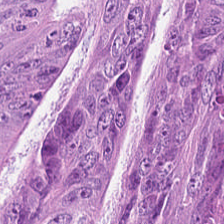Hematoxylin-and-eosin stained section — Tissue type: colorectal adenocarcinoma epithelium.
